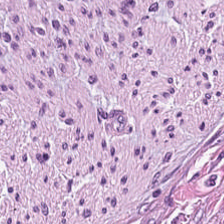Hematoxylin-and-eosin section: tumor stroma.
